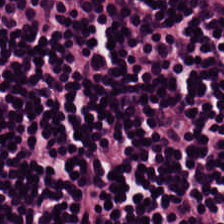Stain: H&E stain.
Tile size: 224×224 px tile.
Resolution: 0.5 µm per pixel.
Tissue type: lymphocytic infiltrate.
